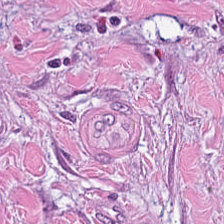Stain: H&E stain.
Preparation: FFPE.
Tissue class: tumor stroma.
